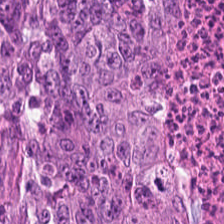H&E-stained tissue section — Malignant epithelium.
